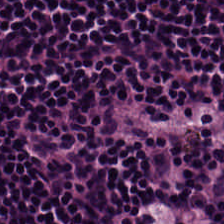H&E stain. Classification = lymphoid infiltrate.
